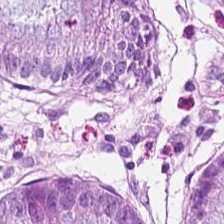Stain: H&E stain.
Tissue: normal colonic mucosa.
